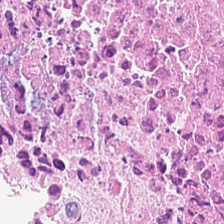The predominant tissue is debris.
